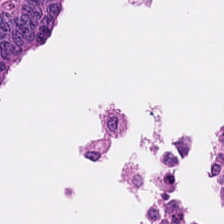H&E stain. This field is colorectal adenocarcinoma.
